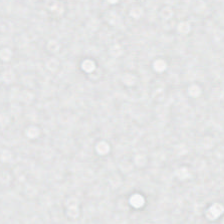H&E stain · 224×224 pixel tile.
Empty field — no tissue.
